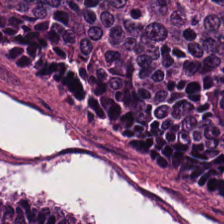H&E; 224×224 px tile.
The tissue here is colorectal adenocarcinoma.
